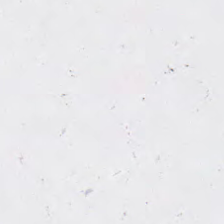Finding — empty background.
